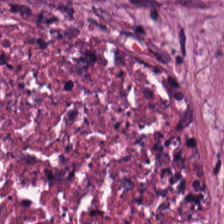Stain: H&E stain.
Resolution: 0.5 µm/px.
Tissue: debris.
